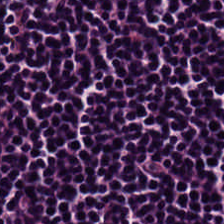H&E. Lymphocyte aggregate.
